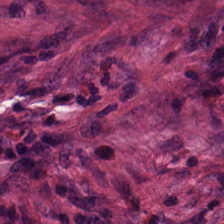H&E-stained tissue section.
Q: What does this patch show?
A: It is cancer-associated stroma.
